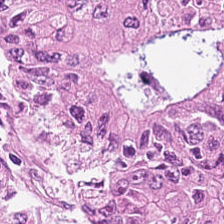Stain: H&E stain.
Predominant tissue: colorectal adenocarcinoma epithelium.
